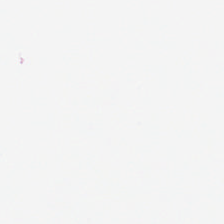Whole-slide-image patch; H&E stain. Empty background.
